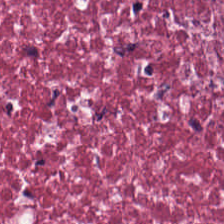The tissue class is tumor-associated stroma.
